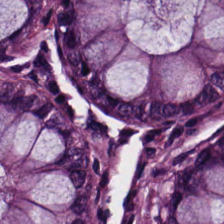Hematoxylin-and-eosin stained section. The tissue type is benign colonic mucosa.
